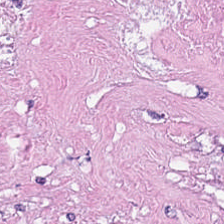Stain: H&E.
Predominant tissue: debris.
